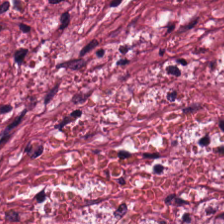Hematoxylin and eosin. FFPE tissue section. 0.5 microns per pixel. The tissue here is tumor stroma.
